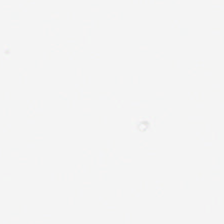Hematoxylin-and-eosin stained section · 0.5 µm per pixel · FFPE. Classification = background.
